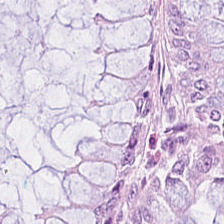H&E-stained tissue section. Showing normal colonic mucosa.
